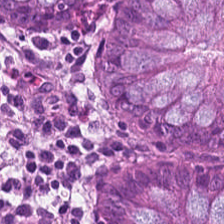Stain: hematoxylin and eosin.
Tissue: benign colonic mucosa.
